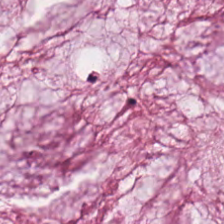Formalin-fixed paraffin-embedded section; 224×224 px patch; H&E stain. This patch shows mucin.
